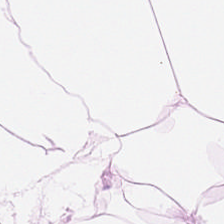H&E — fat tissue.
